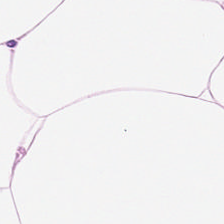Stain: H&E.
Tissue: fat tissue.
